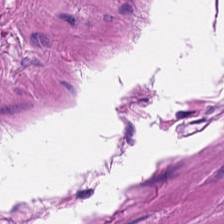H&E. The tissue here is smooth muscle.
